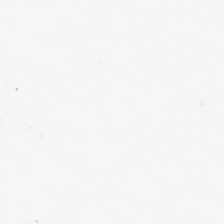224×224 px patch · H&E. Impression — empty background.
